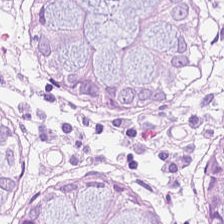H&E-stained tissue section · 0.5 µm/px.
Q: What tissue is shown?
A: The field shows non-neoplastic colon mucosa.
